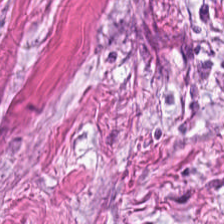H&E-stained tissue section; 20× equivalent magnification. Q: What type of tissue is this?
A: This is cancer-associated stroma.
